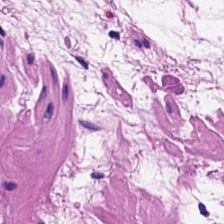224×224 pixel tile. 0.5 µm/px. H&E.
Q: Classify this patch.
A: This is smooth muscle.
